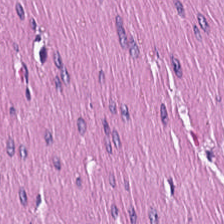FFPE. H&E-stained tissue section. 0.5 µm/px. Q: What is shown in this field?
A: Muscularis.
